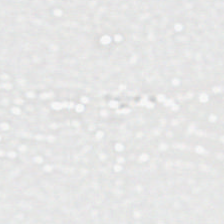Stain: H&E stain.
Field content: empty background.
